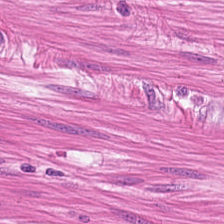H&E-stained tissue section. Q: What tissue is shown?
A: It is smooth-muscle tissue.
